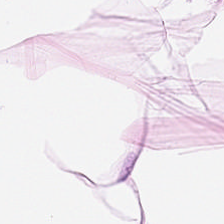H&E. Tissue — adipose.
